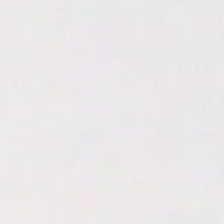H&E-stained tissue section — No tissue present; background only.
